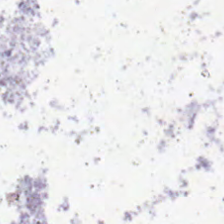H&E-stained tissue section. Q: What is shown in this field?
A: It is no tissue.
